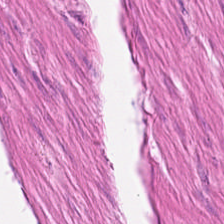The tissue here is smooth muscle.
